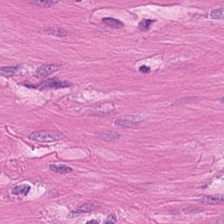Formalin-fixed paraffin-embedded section; hematoxylin and eosin; 0.5 µm/px.
Smooth-muscle tissue.
